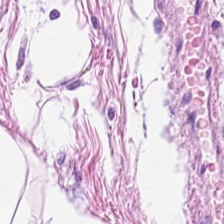H&E.
Adipocytes.
